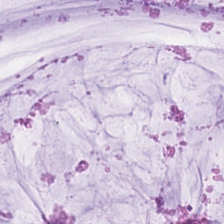224×224 pixel tile. H&E-stained tissue section. {"tissue_type": "mucus"}
